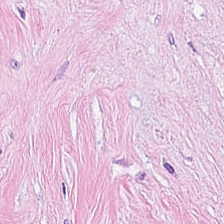WSI patch · H&E stain.
This field is tumor stroma.
